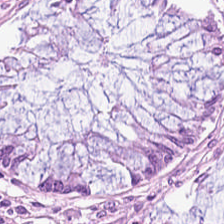Brightfield. H&E. The predominant tissue is normal colonic mucosa.
